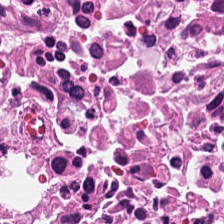Q: What is shown in this field?
A: Necrotic debris.
